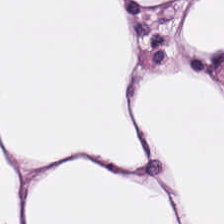H&E-stained tissue section — The predominant tissue is fat tissue.
